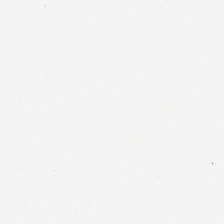224×224 pixel tile · H&E stain. Content — background.
